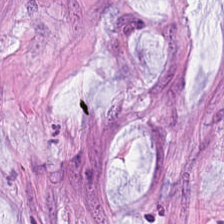H&E stain; whole-slide-image patch. {"tissue_type": "extracellular mucin"}
